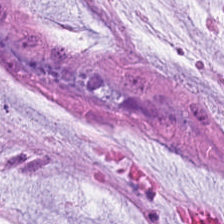Tissue — mucin.
